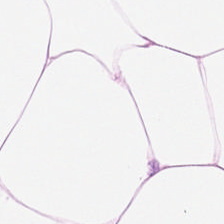Tissue: adipose tissue.
